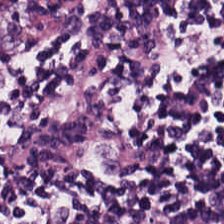224×224 px tile. H&E-stained tissue section — The tissue here is lymphocyte aggregate.
